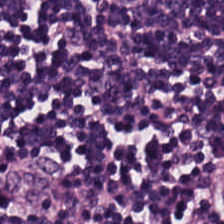H&E-stained tissue section; 224×224 pixel tile — Q: What type of tissue is this?
A: This is lymphoid infiltrate.
